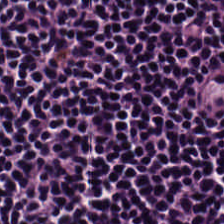Whole-slide-image patch; hematoxylin and eosin.
The tissue here is lymphoid infiltrate.
